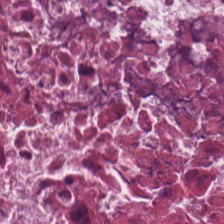Stain: H&E.
Preparation: FFPE tissue section.
Acquisition: whole-slide-image patch.
Classification: cellular debris.
